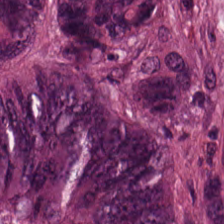H&E-stained tissue section — {"tissue_type": "colorectal adenocarcinoma epithelium"}
